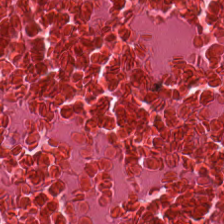Hematoxylin-and-eosin stained section · FFPE tissue section — {"tissue_type": "necrotic debris"}
